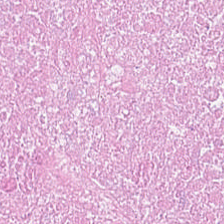224×224 px tile · H&E — Debris.
